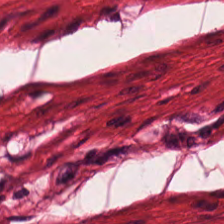Hematoxylin-and-eosin stained section; formalin-fixed paraffin-embedded section. Smooth-muscle tissue.
